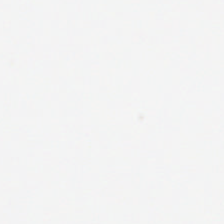The field content is background.
